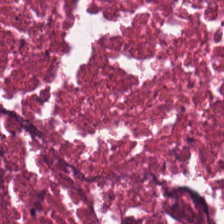H&E.
The tissue here is debris.
